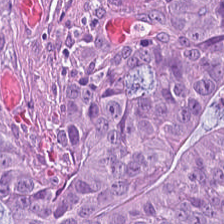Finding — malignant epithelium.
